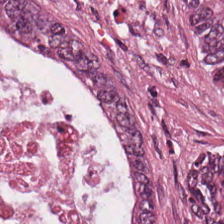H&E-stained tissue section · 20× equivalent magnification.
Showing colorectal adenocarcinoma.
